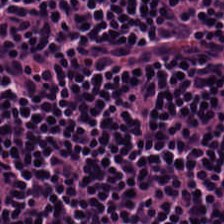Impression → lymphoid infiltrate.
